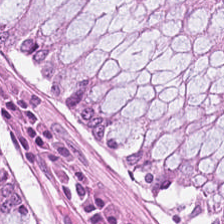Hematoxylin and eosin.
Q: What tissue is shown?
A: The field shows normal colonic mucosa.
